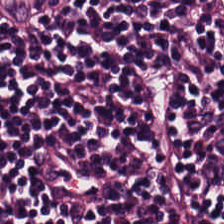Predominant tissue — lymphocytic infiltrate.
